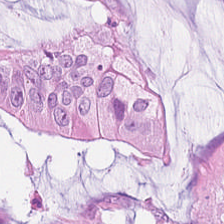Predominant tissue = colorectal adenocarcinoma epithelium.
